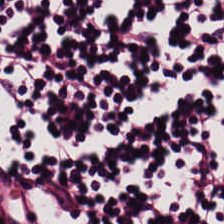Formalin-fixed paraffin-embedded section · H&E stain — The classification is lymphocytes.
